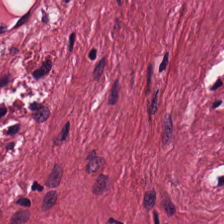224×224 px patch · H&E stain — Predominantly tumor stroma.
